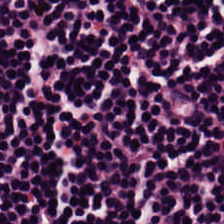Hematoxylin and eosin. Tissue class — lymphocytic infiltrate.
